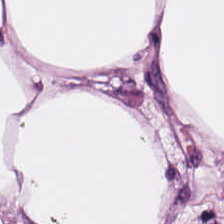H&E-stained tissue section. Predominantly adipose.
